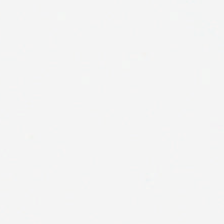H&E stain. Q: What is shown in this field?
A: Background (no tissue).
